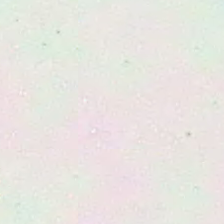Stain: hematoxylin-and-eosin stained section.
Content: no tissue.
